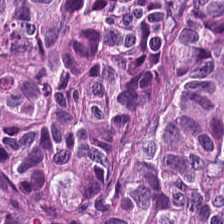Hematoxylin-and-eosin stained section; brightfield.
Q: Classify this patch.
A: Colorectal adenocarcinoma epithelium.
